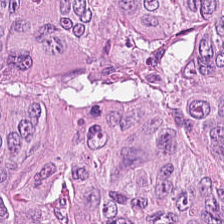H&E-stained tissue section. Tissue type = tumor epithelium.
